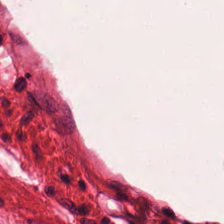{"tissue_type": "smooth muscle"}
